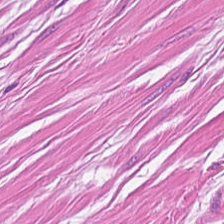Stain: H&E stain.
Tissue class: smooth muscle.
